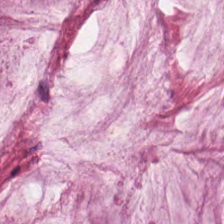Hematoxylin-and-eosin stained section.
This field is mucus.
